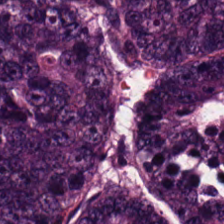Hematoxylin-and-eosin stained section. The tissue here is adenocarcinoma.
